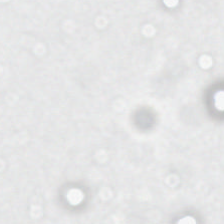H&E-stained tissue section; FFPE.
Background — no tissue in this field.
